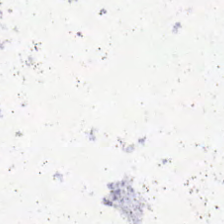H&E stain.
Background — no tissue in this field.
